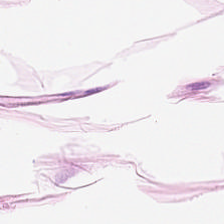224×224 pixel tile. Formalin-fixed paraffin-embedded section. Hematoxylin and eosin. Impression — adipose.
